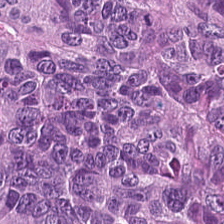Stain: H&E stain.
Predominant tissue: colorectal adenocarcinoma epithelium.
